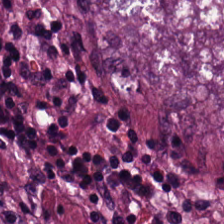WSI patch. H&E-stained tissue section. Tissue = adenocarcinoma.
